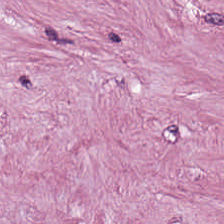Stain: hematoxylin and eosin.
Tissue type: tumor-associated stroma.
